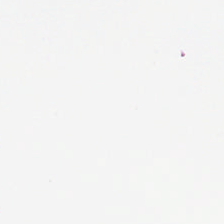FFPE tissue section; H&E stain.
Field content = no tissue.
